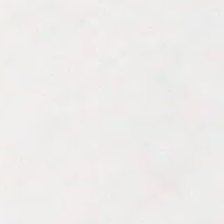Stain: H&E stain.
Field content: background (no tissue).
